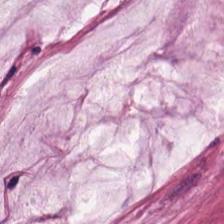Hematoxylin and eosin — {"tissue_type": "mucin"}
